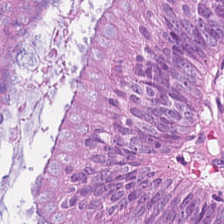Stain: H&E.
Tissue: tumor epithelium.
